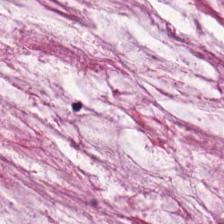Hematoxylin-and-eosin section: extracellular mucin.
